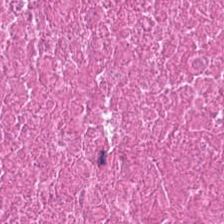Hematoxylin and eosin — Predominant tissue = cellular debris.
